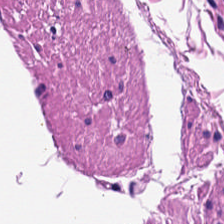Hematoxylin-and-eosin stained section. {"tissue_type": "smooth muscle"}
